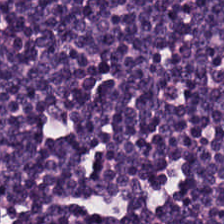Hematoxylin-and-eosin stained section; FFPE; 224×224 px patch — Q: Identify the tissue.
A: Lymphocytic infiltrate.
